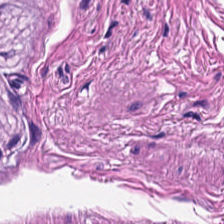H&E stain.
Showing smooth-muscle tissue.
